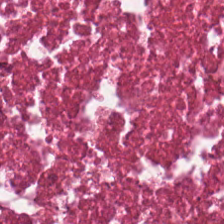FFPE; hematoxylin and eosin. The predominant tissue is necrotic debris.
